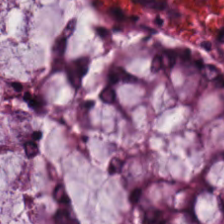H&E stain. This patch shows normal colon mucosa.
